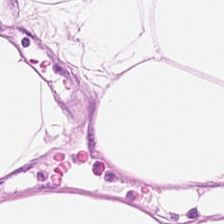H&E-stained tissue section · 224×224 px patch. Impression — adipose tissue.
